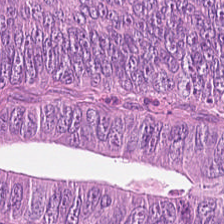H&E-stained tissue section. Tissue class — colorectal adenocarcinoma.
